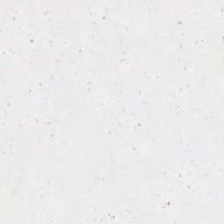224×224 px tile. Hematoxylin-and-eosin stained section.
Background — no tissue in this field.
